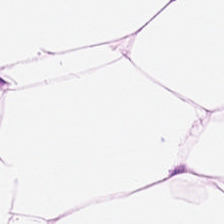H&E stain — Predominant tissue — adipose.
